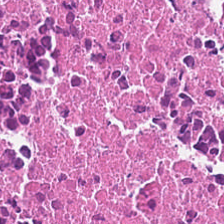H&E; 0.5 µm per pixel. Predominantly debris.
